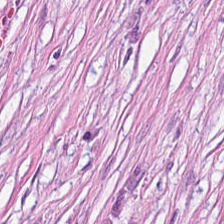Tissue type — tumor-associated stroma.
